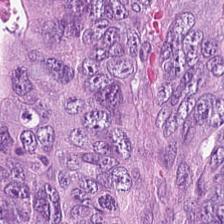Hematoxylin-and-eosin stained section · 0.5 µm per pixel · WSI patch — This field is colorectal adenocarcinoma.
